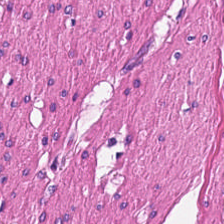0.5 µm per pixel. H&E — Predominant tissue — smooth-muscle tissue.
